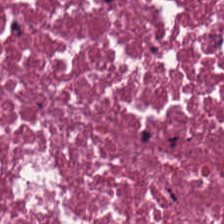H&E stain. 224×224 px tile — Classification: cellular debris.
